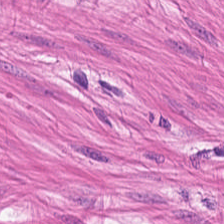Tissue = muscularis.
